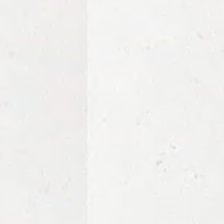Background — no tissue in this field.
